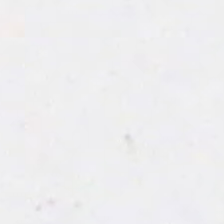Hematoxylin and eosin. No tissue present; background only.
